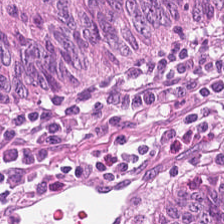H&E stain.
This field is adenocarcinoma.
